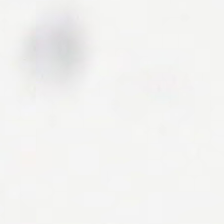H&E stain — Content — background.
